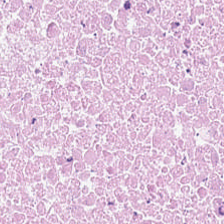Formalin-fixed paraffin-embedded section · H&E-stained tissue section — This field is cellular debris.
